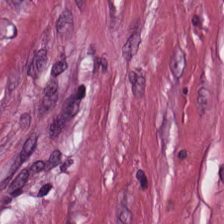Hematoxylin and eosin. Finding — tumor-associated stroma.
